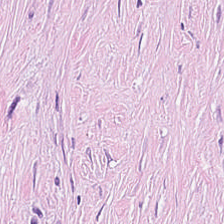Hematoxylin-and-eosin stained section — Q: What tissue is shown?
A: This is desmoplastic stroma.
